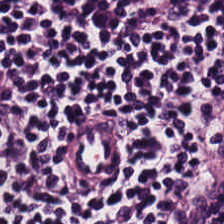H&E. Formalin-fixed paraffin-embedded section — Tissue type: lymphocyte aggregate.
